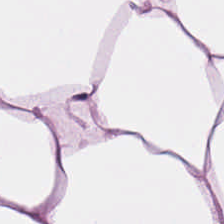H&E · WSI patch. Impression → fat tissue.
